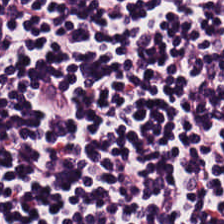{"tissue_type": "lymphocytes"}
